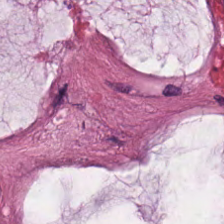Brightfield. 224×224 px patch. Hematoxylin-and-eosin stained section.
Impression — mucin.
